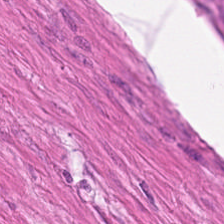224×224 pixel tile · H&E-stained tissue section · 0.5 µm per pixel. This patch shows smooth-muscle tissue.
